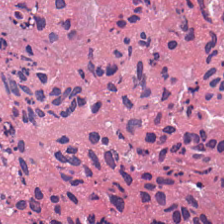Tissue type — debris.
